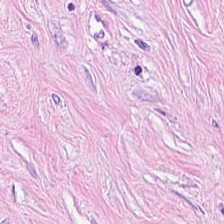H&E. Q: Identify the tissue.
A: This is desmoplastic stroma.
